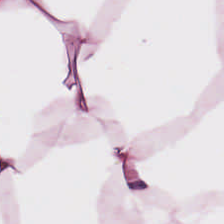H&E. 0.5 microns per pixel — Q: What is the predominant tissue type?
A: Adipose.
